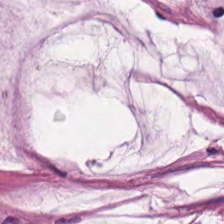H&E-stained tissue section — Histology — mucus.
